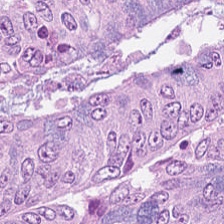H&E stain — Showing malignant epithelium.
